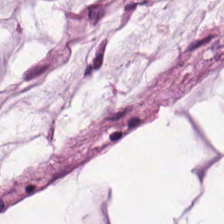Q: What is shown in this field?
A: The field shows mucin.
